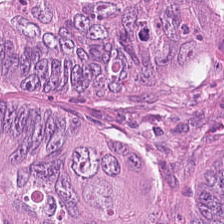Hematoxylin-and-eosin stained section · formalin-fixed paraffin-embedded section — Impression → colorectal adenocarcinoma.
